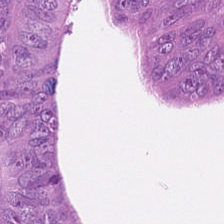H&E. This patch shows adenocarcinoma.
